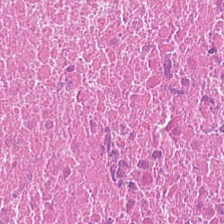Hematoxylin and eosin. Predominantly necrotic debris.
